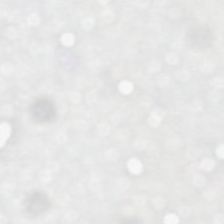0.5 µm/px. H&E — This field is background (no tissue).
